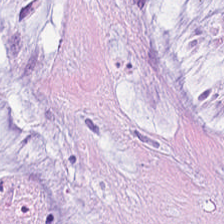Hematoxylin-and-eosin stained section · formalin-fixed paraffin-embedded section · 0.5 microns per pixel — The predominant tissue is extracellular mucin.
